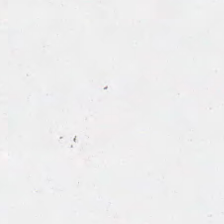Hematoxylin-and-eosin stained section — This patch shows empty background.
